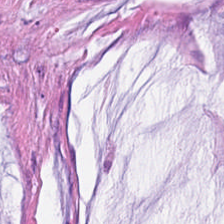H&E-stained tissue section. FFPE. 224×224 pixel tile — The predominant tissue is mucin.
